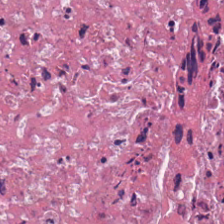0.5 µm per pixel; hematoxylin and eosin.
The predominant tissue is cellular debris.
